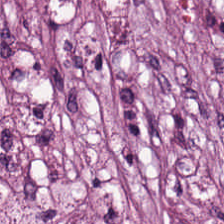Hematoxylin-and-eosin stained section — The tissue class is tumor-associated stroma.
